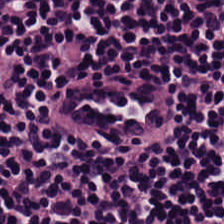Hematoxylin and eosin.
The tissue here is lymphoid infiltrate.
